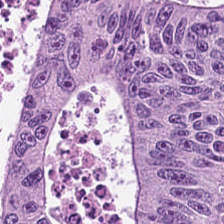H&E — malignant epithelium.
